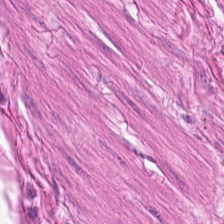Hematoxylin and eosin · 224×224 px tile. Classification = muscularis.
